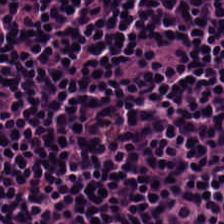H&E-stained tissue section.
This patch shows lymphocytes.
